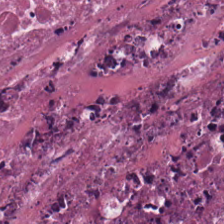Stain: H&E stain.
Tissue type: debris.
